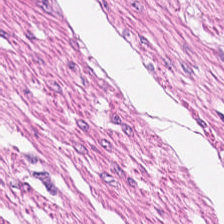The tissue class is smooth-muscle tissue.
